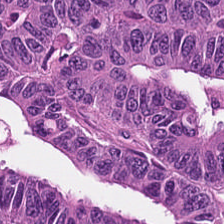H&E — Histology → malignant epithelium.
